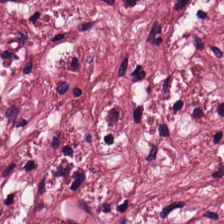Stain: H&E-stained tissue section.
Tissue: desmoplastic stroma.
